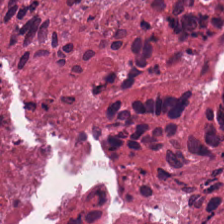H&E-stained tissue section · 0.5 microns per pixel. Necrotic debris.
